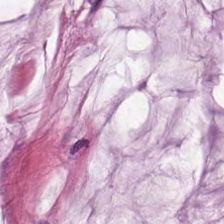224×224 px tile; H&E. This patch shows extracellular mucin.
